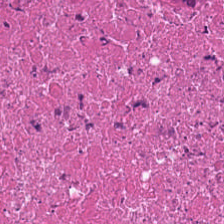H&E · 20× equivalent magnification · FFPE tissue section.
The predominant tissue is debris.
